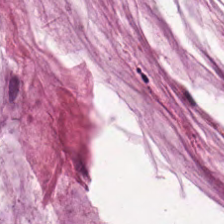Hematoxylin and eosin.
Impression → mucin.
